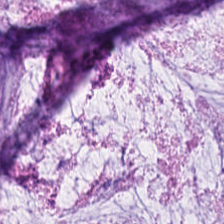Finding — mucus.
